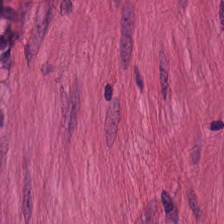Stain: hematoxylin-and-eosin stained section.
Acquisition: whole-slide-image patch.
Classification: smooth muscle.
